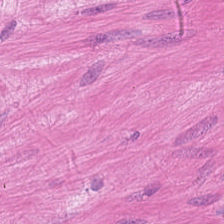Hematoxylin and eosin · 0.5 microns per pixel.
Predominant tissue = muscularis.
